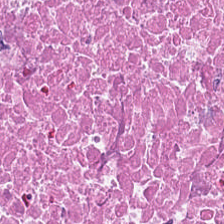The tissue class is cellular debris.
